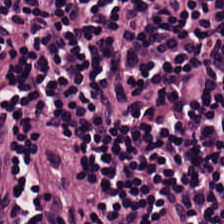Hematoxylin and eosin — The tissue here is lymphocyte aggregate.
